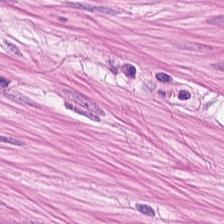Stain: hematoxylin-and-eosin stained section.
Tissue class: smooth-muscle tissue.
